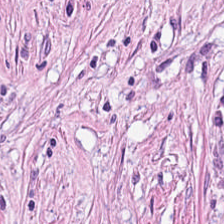H&E-stained tissue section. 224×224 pixel tile. Whole-slide-image patch — The predominant tissue is tumor-associated stroma.
